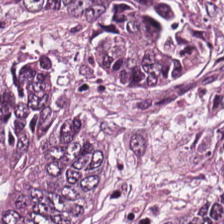{"tissue_type": "adenocarcinoma"}
